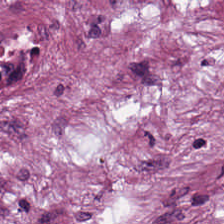H&E-stained tissue section — Tissue type: cancer-associated stroma.
